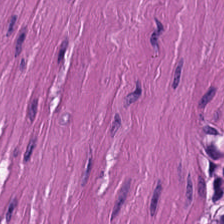Stain: hematoxylin-and-eosin stained section.
Preparation: formalin-fixed paraffin-embedded section.
Predominant tissue: smooth-muscle tissue.
